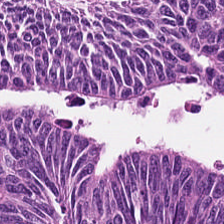H&E-stained tissue section — The tissue here is adenocarcinoma.
